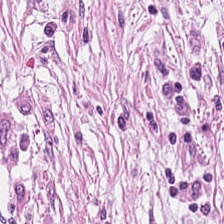WSI patch; H&E stain. Histology → desmoplastic stroma.
